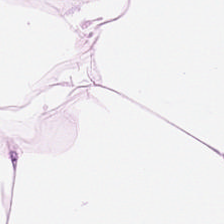Impression — adipose.
